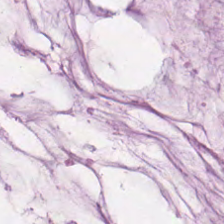Stain: H&E stain.
Tissue: mucus.
